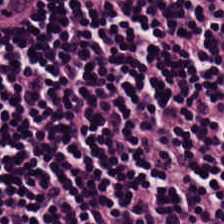Hematoxylin-and-eosin stained section · 0.5 µm/px. Predominantly lymphocytic infiltrate.
